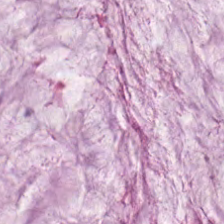0.5 µm per pixel · H&E · 224×224 px patch. Tissue type = mucus.
